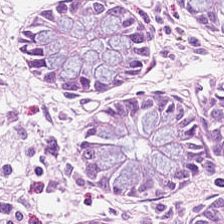Histology → non-neoplastic colon mucosa.
